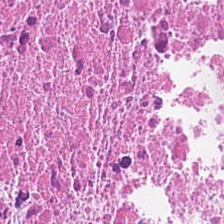Hematoxylin-and-eosin stained section.
The predominant tissue is debris.
